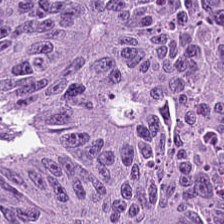0.5 microns per pixel · H&E-stained tissue section. Predominant tissue — malignant epithelium.
